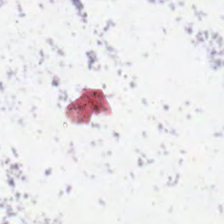This patch shows background (no tissue).
